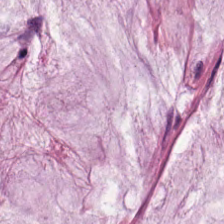Hematoxylin-and-eosin stained section — Mucin.
